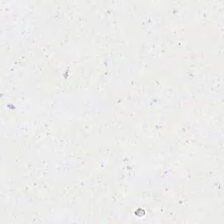H&E-stained tissue section; 224×224 px tile.
No tissue present; background only.
